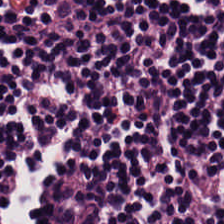This field is lymphoid infiltrate.
